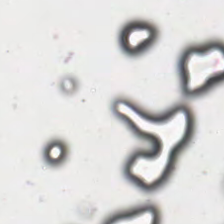H&E stain. 0.5 µm/px. Empty field — background.
